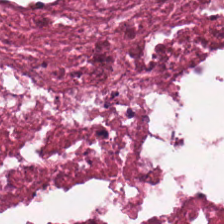Hematoxylin-and-eosin stained section. The predominant tissue is cellular debris.
